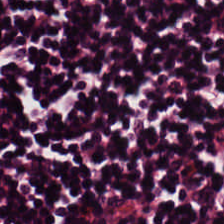H&E-stained tissue section · 20× equivalent magnification — The predominant tissue is lymphocytic infiltrate.
